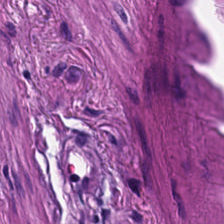H&E-stained tissue section.
The predominant tissue is smooth muscle.
